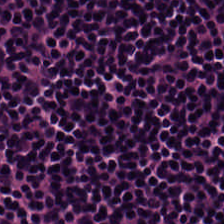Hematoxylin-and-eosin stained section · brightfield microscopy. Q: What tissue is shown?
A: It is lymphoid infiltrate.
